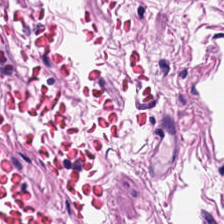H&E; FFPE. Predominant tissue: smooth muscle.
